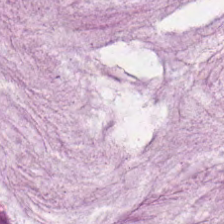224×224 px patch. H&E stain. WSI patch — Classification: extracellular mucin.
